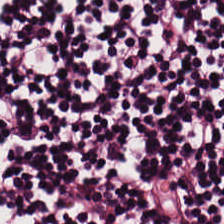Stain: H&E.
Tissue type: lymphoid infiltrate.
